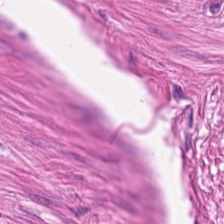Predominantly smooth muscle.
